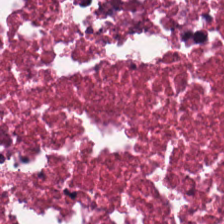Hematoxylin-and-eosin stained section; 0.5 µm/px; 224×224 pixel tile. Tissue class = necrotic debris.
